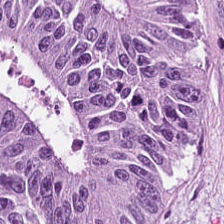Finding — malignant epithelium.
